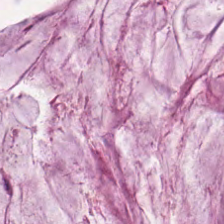H&E; 224×224 px patch; brightfield microscopy — The tissue class is mucin.
